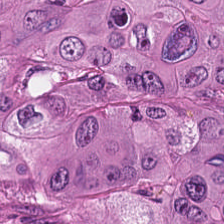Impression → colorectal adenocarcinoma epithelium.
